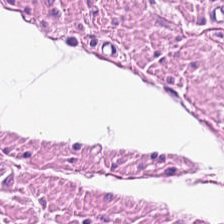H&E stain. Histology → smooth muscle.
